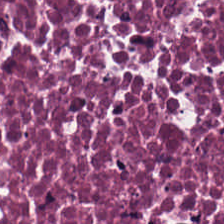Hematoxylin and eosin · WSI patch. The predominant tissue is debris.
